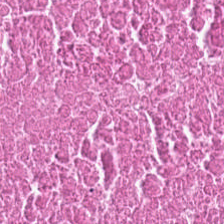Hematoxylin and eosin.
Predominantly necrotic debris.
